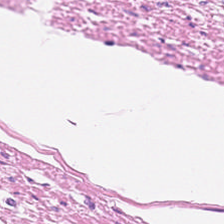FFPE; hematoxylin and eosin — {"tissue_type": "smooth-muscle tissue"}
